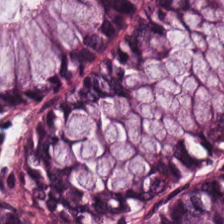Tissue: normal colonic mucosa.
